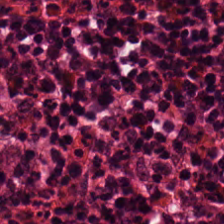H&E-stained tissue section; FFPE. Q: What is shown in this field?
A: The field shows normal colon mucosa.
